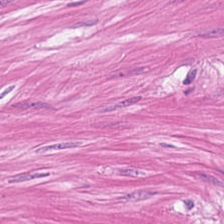H&E stain. FFPE. Brightfield microscopy. Tissue: smooth muscle.
